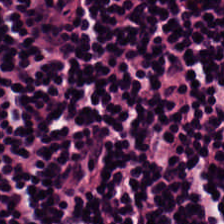0.5 µm per pixel · 224×224 px tile · H&E stain — The tissue here is lymphocytic infiltrate.
